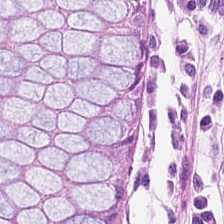H&E; FFPE tissue section — The predominant tissue is normal colon mucosa.
